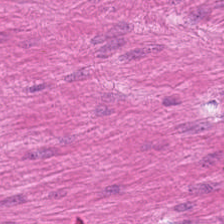Hematoxylin-and-eosin stained section.
Impression — muscularis.
